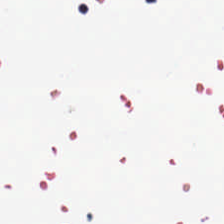Hematoxylin-and-eosin stained section.
Background — no tissue in this field.
